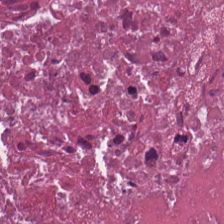Q: What type of tissue is this?
A: Cellular debris.
